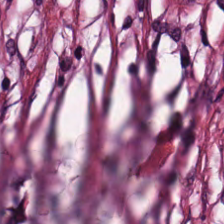This field is tumor-associated stroma.
